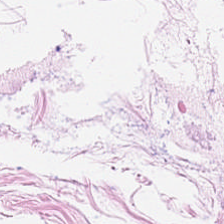Hematoxylin and eosin. This field is adipose tissue.
